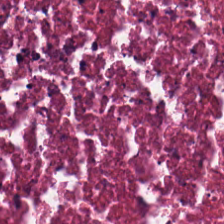H&E-stained tissue section. 0.5 µm/px. Impression — debris.
